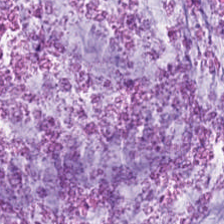224×224 px tile. Hematoxylin and eosin.
Histology → mucin.
